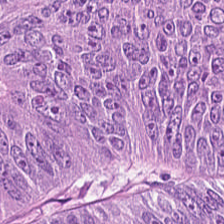H&E-stained tissue section · 224×224 px tile. The classification is adenocarcinoma.
